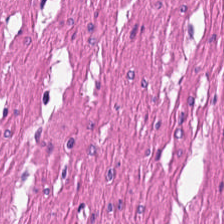Hematoxylin and eosin · FFPE tissue section · 0.5 µm/px. This patch shows muscularis.
